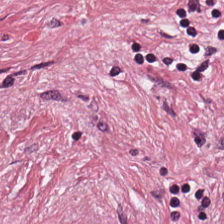Tissue — tumor-associated stroma.
